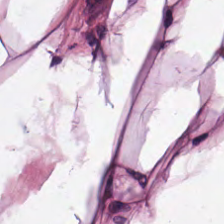H&E stain.
Q: What does this patch show?
A: The field shows adipose tissue.
